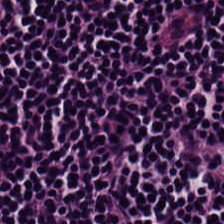Formalin-fixed paraffin-embedded section · WSI patch · H&E-stained tissue section.
Q: What does this patch show?
A: Lymphocytic infiltrate.
